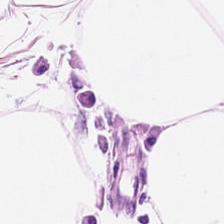H&E-stained tissue section. Q: What is the predominant tissue type?
A: It is fat tissue.
